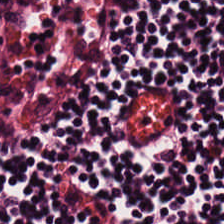H&E-stained tissue section showing lymphocyte aggregate.
